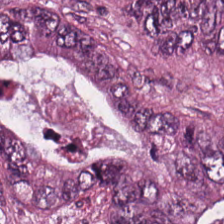H&E — This patch shows malignant epithelium.
